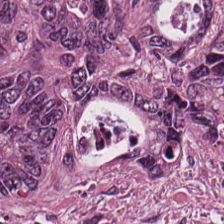Stain: hematoxylin and eosin.
Tissue type: colorectal adenocarcinoma.
